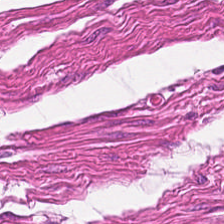Tissue type = smooth muscle.
